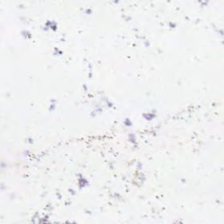Stain: H&E-stained tissue section.
Classification: background.
